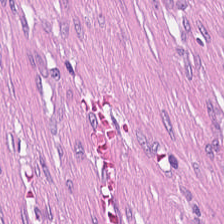H&E.
Tissue: tumor-associated stroma.
